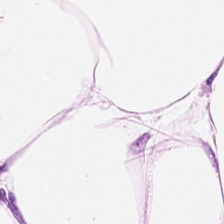Hematoxylin-and-eosin stained section; formalin-fixed paraffin-embedded section; 224×224 px patch — Impression → adipose tissue.
